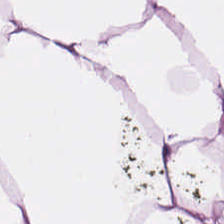Brightfield. 0.5 microns per pixel. H&E stain.
Q: Classify this patch.
A: It is adipocytes.
